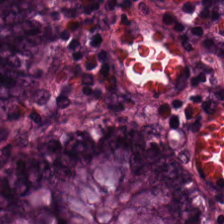Hematoxylin and eosin · 0.5 µm per pixel — The tissue here is normal colon mucosa.
